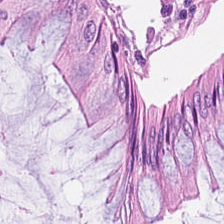Hematoxylin and eosin — Classification: normal colon mucosa.
